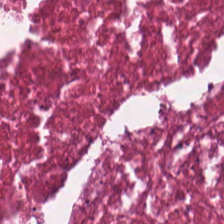FFPE. 0.5 microns per pixel. Hematoxylin-and-eosin stained section. The tissue here is cellular debris.
